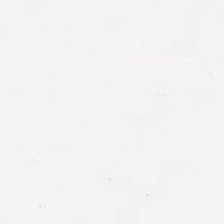Stain: H&E.
Tile size: 224×224 pixel tile.
Classification: background (no tissue).
